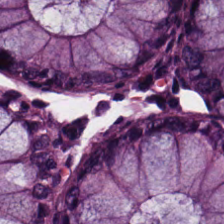This patch shows normal colon mucosa.
